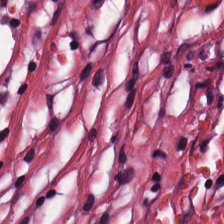H&E stain; 224×224 px tile; formalin-fixed paraffin-embedded section.
The tissue here is desmoplastic stroma.
